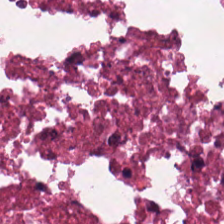Finding — necrotic debris.
